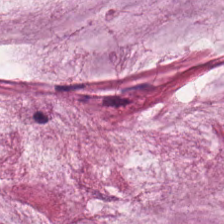0.5 µm per pixel · H&E stain · 224×224 px tile. Showing mucus.
